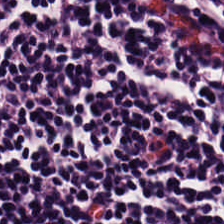H&E. The tissue here is lymphocytic infiltrate.
